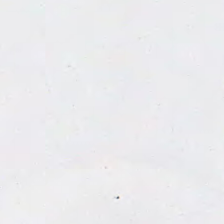H&E — Field content — background (no tissue).
